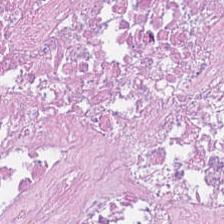Hematoxylin-and-eosin stained section. Q: What tissue type is shown here?
A: It is necrotic debris.
